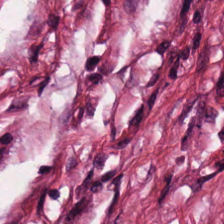Hematoxylin-and-eosin stained section.
Desmoplastic stroma.
